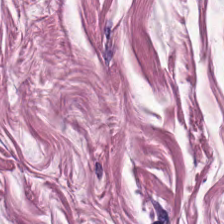{"tissue_type": "smooth-muscle tissue"}
